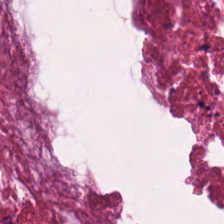H&E. 0.5 µm/px. Brightfield microscopy — Finding — cellular debris.
